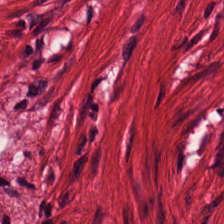The tissue here is smooth muscle.
